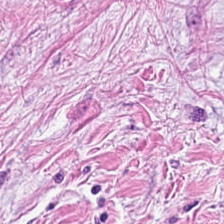H&E-stained tissue section; FFPE tissue section; brightfield microscopy — Q: What type of tissue is this?
A: Cancer-associated stroma.
